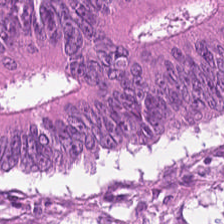Hematoxylin and eosin.
{"tissue_type": "colorectal adenocarcinoma epithelium"}
